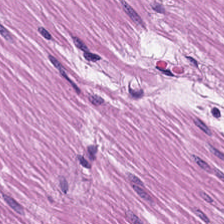FFPE tissue section · 224×224 pixel tile · hematoxylin and eosin. Classification = smooth muscle.
